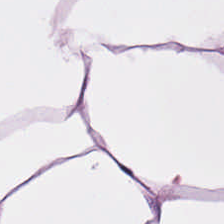H&E — This field is adipose.
